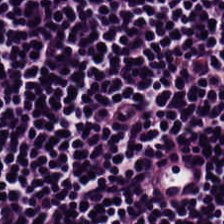H&E stain. Brightfield — Lymphocytic infiltrate.
